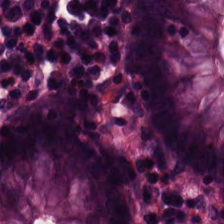Brightfield microscopy; hematoxylin and eosin. This field is non-neoplastic colon mucosa.
